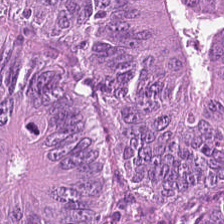Tissue type = malignant epithelium.
